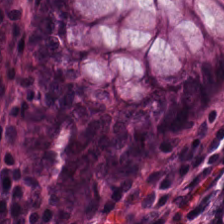Hematoxylin and eosin.
Predominant tissue — non-neoplastic colon mucosa.
